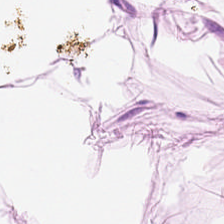Hematoxylin and eosin.
The tissue type is adipose tissue.
